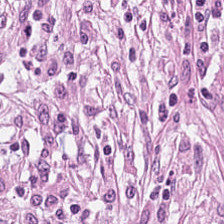Hematoxylin-and-eosin stained section; 0.5 µm/px; 224×224 px patch — Predominantly desmoplastic stroma.
